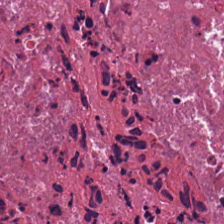Predominant tissue = debris.
